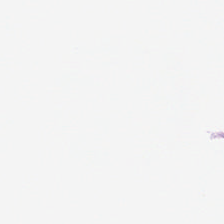WSI patch · H&E. Field content: no tissue.
